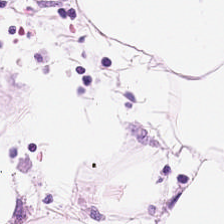Classification = fat tissue.
